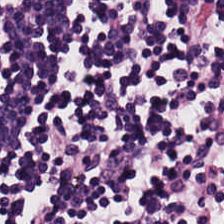The predominant tissue is lymphocyte aggregate.
